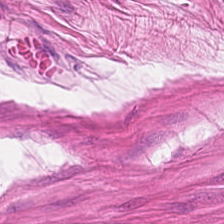Stain: hematoxylin-and-eosin stained section.
Tissue class: smooth-muscle tissue.
